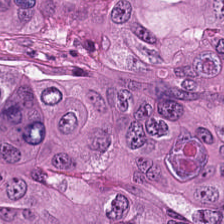WSI patch · H&E.
Showing adenocarcinoma.
